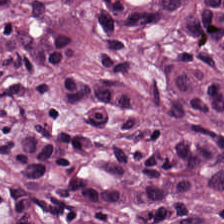0.5 µm per pixel · 224×224 px patch · H&E stain — This patch shows adenocarcinoma.
